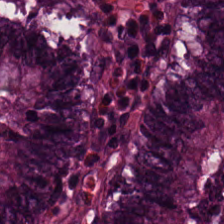0.5 µm per pixel · hematoxylin and eosin.
Q: What is the predominant tissue type?
A: Normal colonic mucosa.
